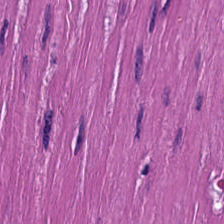Showing smooth muscle.
